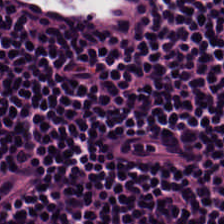Predominant tissue — lymphocytic infiltrate.
